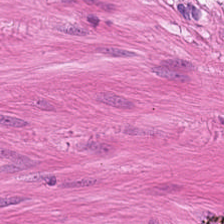0.5 microns per pixel; hematoxylin-and-eosin stained section.
Q: What is shown in this field?
A: It is muscularis.
